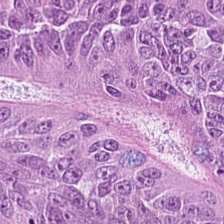H&E-stained section; the field shows colorectal adenocarcinoma.
